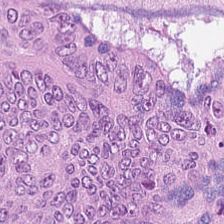H&E stain; brightfield microscopy — Q: What is shown here?
A: This is colorectal adenocarcinoma.
